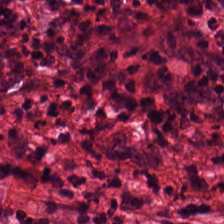Classification: desmoplastic stroma.
